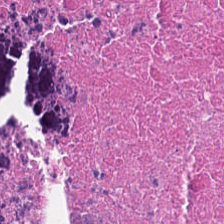{"tissue_type": "necrotic debris"}
